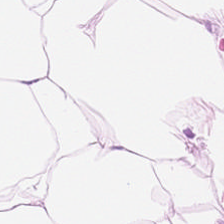{"tissue_type": "adipose tissue"}
